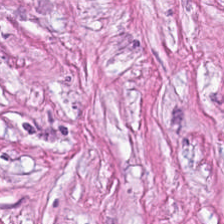The predominant tissue is cancer-associated stroma.
